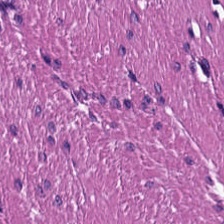Brightfield microscopy; hematoxylin-and-eosin stained section.
Q: What tissue type is shown here?
A: Smooth muscle.
